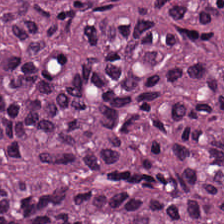This patch shows colorectal adenocarcinoma epithelium.
